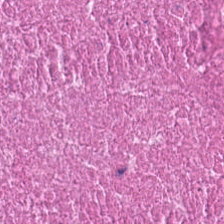Classification — cellular debris.
